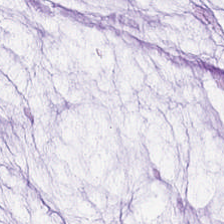Hematoxylin-and-eosin section: mucin.
